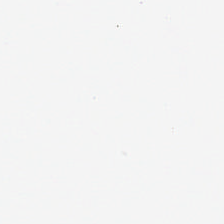Brightfield. H&E. Background — no tissue in this field.
